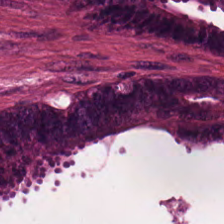H&E stain. The predominant tissue is adenocarcinoma.
